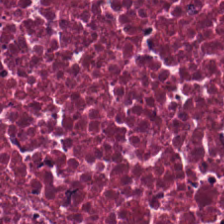Hematoxylin-and-eosin stained section. Classification = debris.
